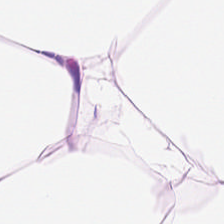H&E.
Impression → adipose tissue.
